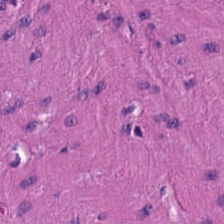FFPE. H&E stain.
Showing smooth muscle.
